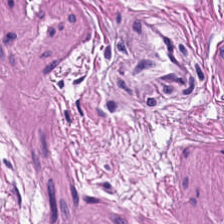H&E-stained tissue section — This patch shows muscularis.
